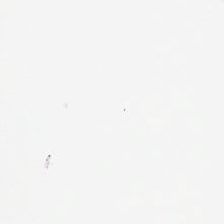Stain: H&E stain.
Field content: background (no tissue).
